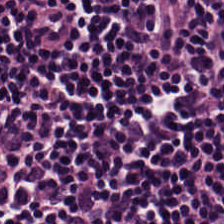Stain: hematoxylin-and-eosin stained section.
Preparation: FFPE.
Tissue type: lymphocytic infiltrate.
